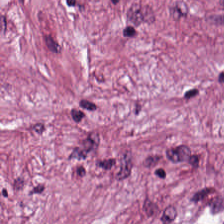Hematoxylin-and-eosin section: cancer-associated stroma.
